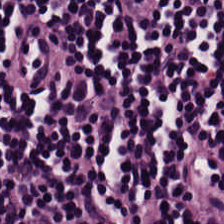This patch shows lymphocytic infiltrate.
